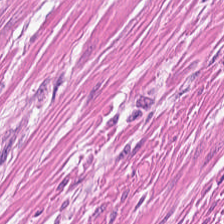H&E. WSI patch. Classification = smooth muscle.
